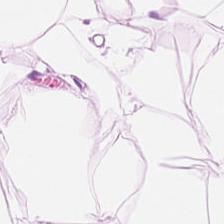Tissue class — adipose.
